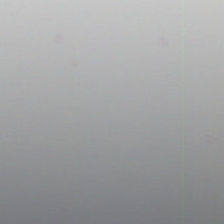This patch shows empty background.
